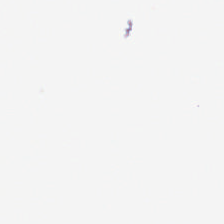Stain: H&E.
Preparation: FFPE.
Classification: background (no tissue).
